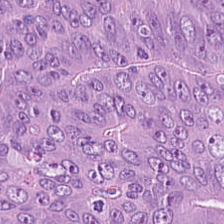Hematoxylin and eosin.
Predominantly adenocarcinoma.
